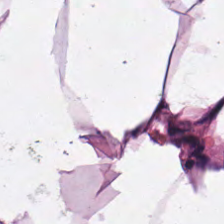Predominant tissue — fat tissue.
